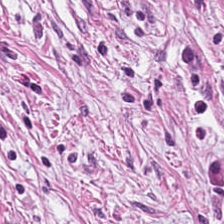H&E-stained tissue section. The tissue here is cancer-associated stroma.
